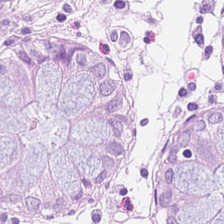H&E — benign colonic mucosa.
